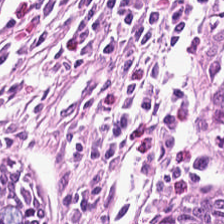H&E.
Q: What is shown here?
A: The field shows benign colonic mucosa.
